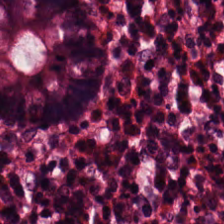Hematoxylin and eosin.
Q: What is shown here?
A: It is normal colon mucosa.
